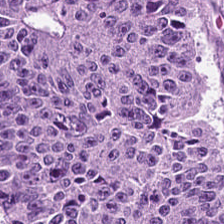H&E-stained section; the field shows colorectal adenocarcinoma epithelium.
